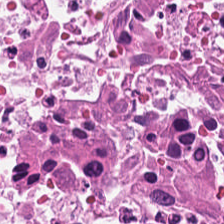224×224 pixel tile · hematoxylin and eosin — Predominant tissue = cellular debris.
